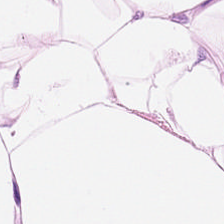Hematoxylin-and-eosin stained section — This patch shows adipose.
